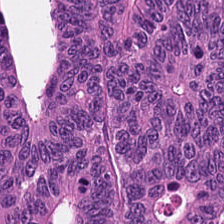FFPE tissue section; H&E.
Q: Classify this patch.
A: The field shows colorectal adenocarcinoma epithelium.
